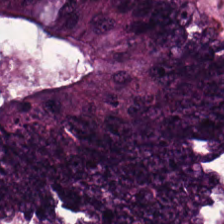Hematoxylin-and-eosin stained section. Q: What type of tissue is this?
A: The field shows tumor epithelium.
